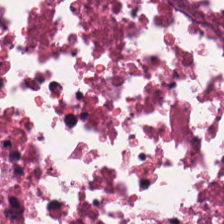224×224 px tile; hematoxylin and eosin; WSI patch — Q: Identify the tissue.
A: This is cellular debris.
